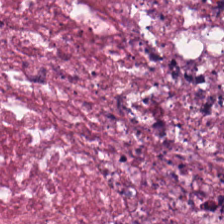Hematoxylin and eosin.
Cellular debris.
